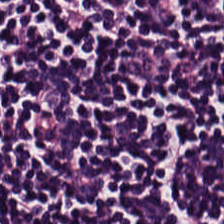Hematoxylin and eosin.
Showing lymphocyte aggregate.
